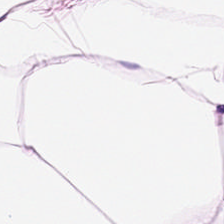H&E stain. The predominant tissue is adipocytes.
